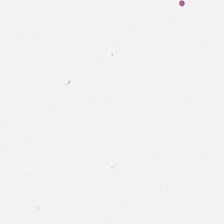H&E — Finding — no tissue.
